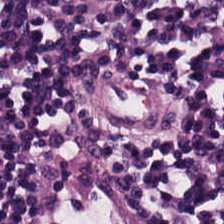Hematoxylin-and-eosin stained section.
Predominantly lymphocytic infiltrate.
